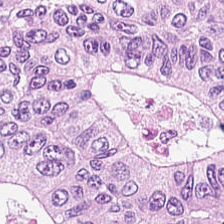224×224 px tile; hematoxylin and eosin.
Tissue type — colorectal adenocarcinoma epithelium.
